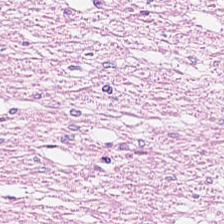H&E stain. This patch shows smooth muscle.
